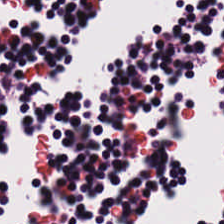Whole-slide-image patch. H&E. Formalin-fixed paraffin-embedded section — The predominant tissue is lymphoid infiltrate.
